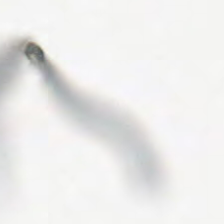20× equivalent magnification; H&E-stained tissue section.
Q: What is shown in this field?
A: Empty background.
